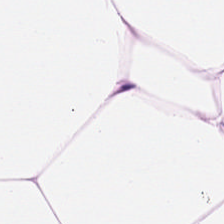Histology — fat tissue.
